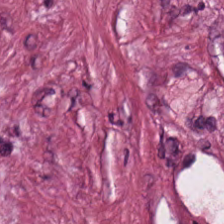H&E stain · 0.5 µm/px.
Showing tumor-associated stroma.
